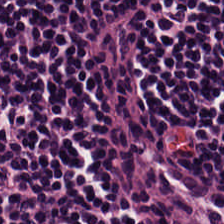H&E · whole-slide-image patch. This field is lymphoid infiltrate.
